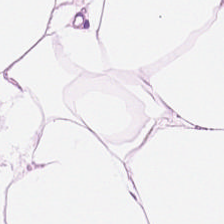H&E stain. Classification — adipose tissue.
